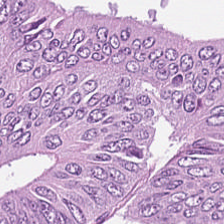FFPE tissue section. H&E stain. Q: Identify the tissue.
A: This is tumor epithelium.
